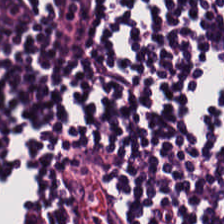224×224 pixel tile · H&E-stained tissue section.
The tissue here is lymphocytes.
